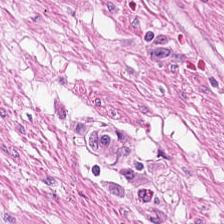Stain: H&E stain.
Predominant tissue: muscularis.
